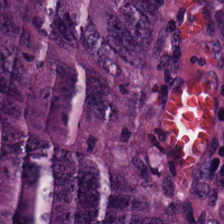WSI patch; hematoxylin and eosin — The predominant tissue is malignant epithelium.
